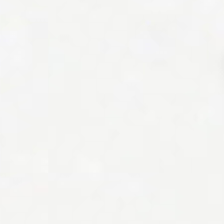0.5 µm per pixel; H&E.
No tissue present; background only.
